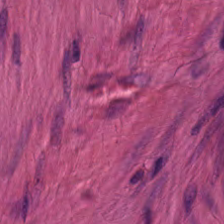H&E stain. Q: What type of tissue is this?
A: It is muscularis.
